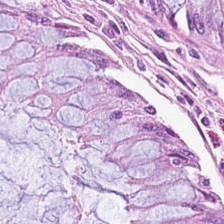H&E stain.
Tissue: normal colon mucosa.
